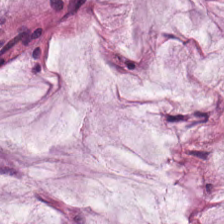Hematoxylin and eosin. Mucus.
